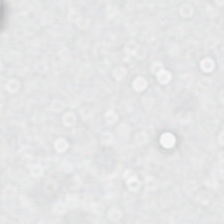H&E-stained tissue section. The content is background.
